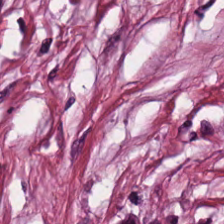Hematoxylin and eosin — Predominantly tumor stroma.
